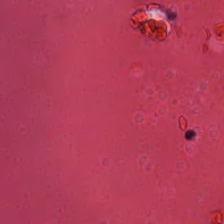Stain: H&E-stained tissue section.
Resolution: 0.5 µm per pixel.
Preparation: formalin-fixed paraffin-embedded section.
Tissue class: cellular debris.
